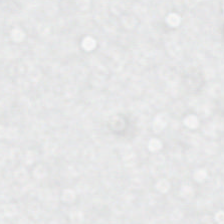Hematoxylin and eosin — Empty background.
